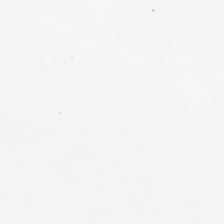H&E-stained tissue section. Q: Classify this patch.
A: Background (no tissue).
